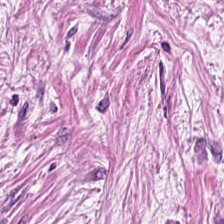224×224 pixel tile. H&E-stained tissue section. Brightfield. Q: What does this patch show?
A: The field shows tumor stroma.
